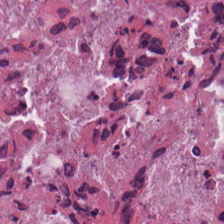H&E — This field is necrotic debris.
